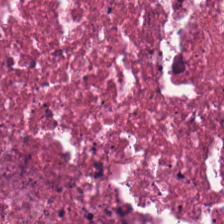H&E stain.
Debris.
